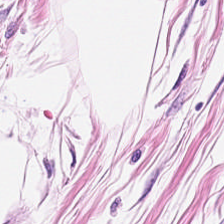Stain: H&E-stained tissue section.
Tissue class: adipose tissue.
